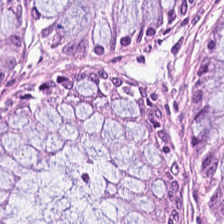0.5 microns per pixel · hematoxylin-and-eosin stained section · 224×224 px patch.
The predominant tissue is normal colon mucosa.
